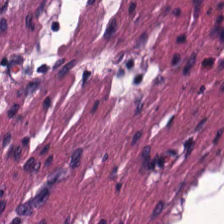H&E — Q: What tissue is shown?
A: It is muscularis.
